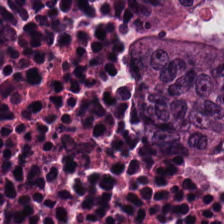Stain: H&E stain.
Tile size: 224×224 pixel tile.
Tissue: colorectal adenocarcinoma epithelium.
